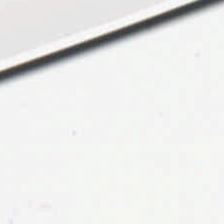FFPE tissue section; H&E stain — Content: background.
